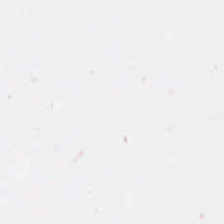Q: What is shown here?
A: The field shows background.
